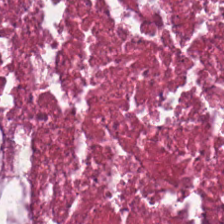Debris.
